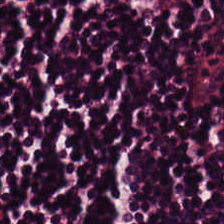Stain: hematoxylin and eosin.
Classification: lymphocytes.
